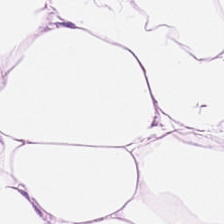Adipose.
